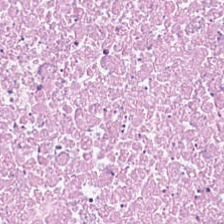Classification — cellular debris.
